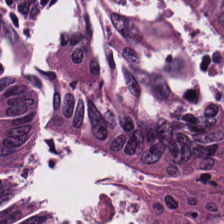224×224 px tile · hematoxylin-and-eosin stained section · FFPE. Predominantly colorectal adenocarcinoma.
